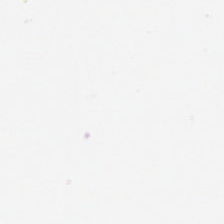H&E-stained tissue section.
{"content": "no tissue"}
